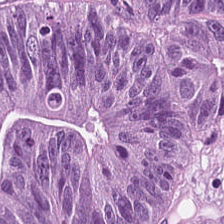Brightfield · 224×224 px tile · hematoxylin-and-eosin stained section — Predominant tissue = tumor epithelium.
